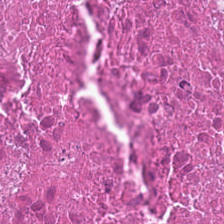H&E-stained tissue section.
This field is cellular debris.
